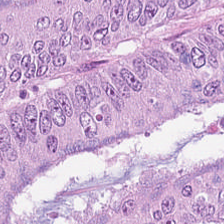Stain: H&E.
Predominant tissue: malignant epithelium.
